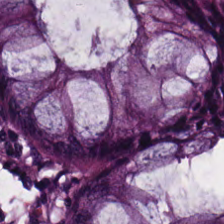Hematoxylin-and-eosin stained section — Tissue: benign colonic mucosa.
